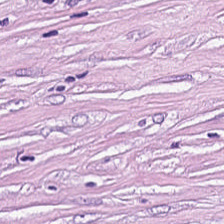Tissue class: tumor-associated stroma.
